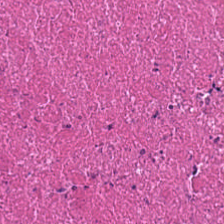H&E stain.
Q: What tissue type is shown here?
A: The field shows debris.
